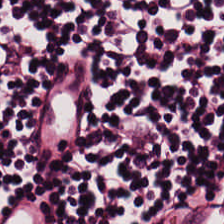Whole-slide-image patch; 20× equivalent magnification; H&E stain.
Predominant tissue = lymphocyte aggregate.
